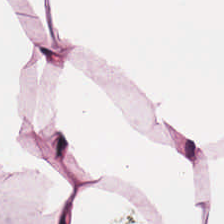Hematoxylin and eosin · whole-slide-image patch. {"tissue_type": "adipocytes"}
